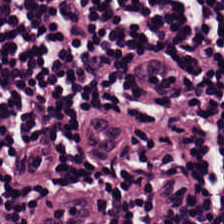Stain: hematoxylin-and-eosin stained section.
Tissue class: lymphocyte aggregate.
